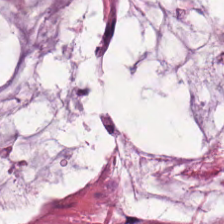H&E stain; FFPE tissue section; WSI patch.
This field is mucin.
